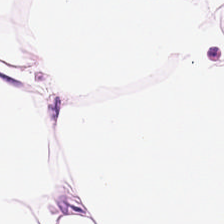H&E patch showing adipose.
